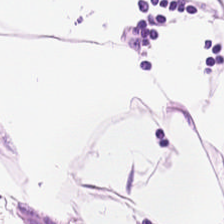H&E stain — Histology — adipose tissue.
